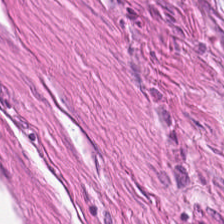Tissue class: muscularis.
